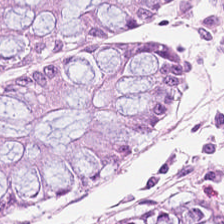H&E-stained tissue section. 224×224 pixel tile. Q: Identify the tissue.
A: It is benign colonic mucosa.
